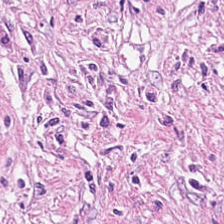This field is tumor-associated stroma.
